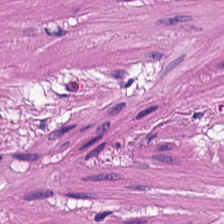Hematoxylin and eosin. Histology → smooth-muscle tissue.
